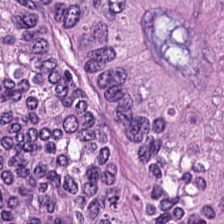Hematoxylin-and-eosin stained section. {"tissue_type": "tumor epithelium"}
